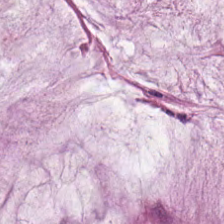{"tissue_type": "extracellular mucin"}
